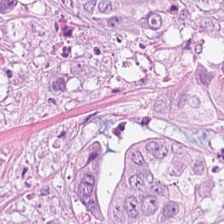Stain: H&E-stained tissue section.
Predominant tissue: adenocarcinoma.
